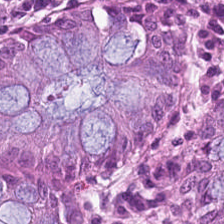H&E stain — Q: Classify this patch.
A: The field shows normal colon mucosa.
